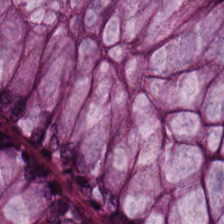224×224 px tile. Hematoxylin-and-eosin stained section — Predominant tissue = normal colonic mucosa.
